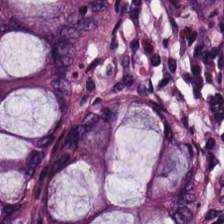Stain: H&E stain.
Classification: benign colonic mucosa.
